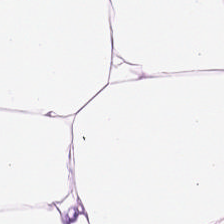FFPE. Hematoxylin-and-eosin stained section — Q: What does this patch show?
A: Adipose.
